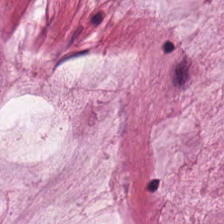224×224 px tile. H&E. 0.5 µm/px.
Histology → mucin.
